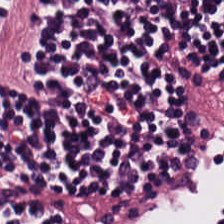Stain: hematoxylin-and-eosin stained section.
Predominant tissue: lymphoid infiltrate.
